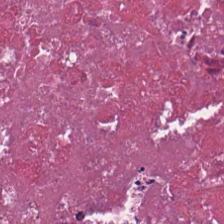224×224 px tile; 0.5 microns per pixel; H&E. Finding — debris.
